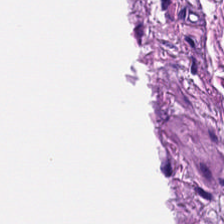Histology — smooth-muscle tissue.
